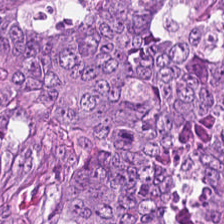Whole-slide-image patch · 0.5 microns per pixel · hematoxylin-and-eosin stained section — Q: What type of tissue is this?
A: Adenocarcinoma.
